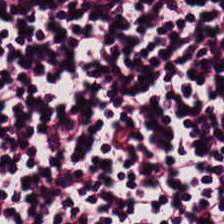H&E. Classification — lymphocyte aggregate.
